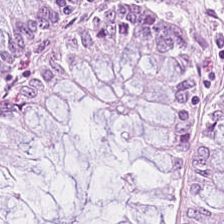0.5 µm/px; brightfield microscopy; H&E stain — Predominantly non-neoplastic colon mucosa.
